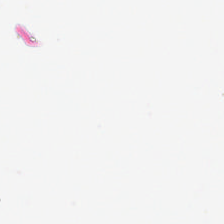Stain: hematoxylin and eosin.
Resolution: 0.5 µm/px.
Tile size: 224×224 px patch.
Field content: background.
